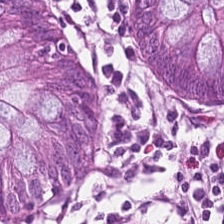Stain: hematoxylin and eosin.
Classification: normal colon mucosa.
